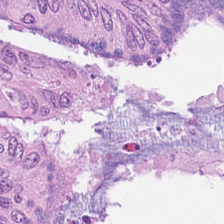0.5 µm per pixel. H&E-stained tissue section. 224×224 px patch — Q: What is shown in this field?
A: The field shows adenocarcinoma.
